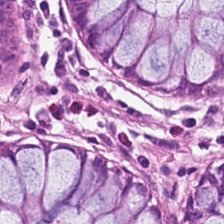Hematoxylin-and-eosin stained section — Showing non-neoplastic colon mucosa.
